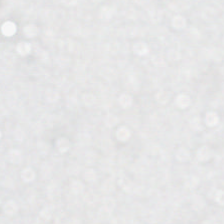Hematoxylin and eosin. Background — no tissue in this field.
